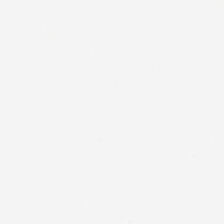Hematoxylin-and-eosin stained section. 224×224 pixel tile — The classification is empty background.
